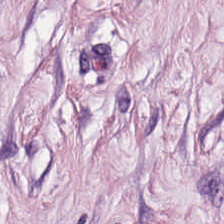Tissue type = desmoplastic stroma.
